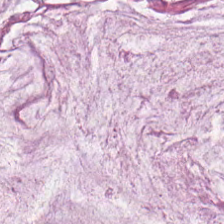Stain: H&E-stained tissue section.
Acquisition: whole-slide-image patch.
Tissue: mucus.
